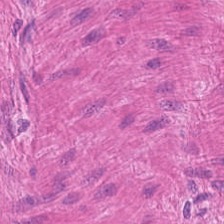FFPE tissue section. H&E-stained tissue section. 0.5 microns per pixel — Smooth muscle.
